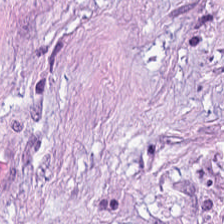Brightfield microscopy · 224×224 px tile · H&E-stained tissue section — The predominant tissue is cancer-associated stroma.
